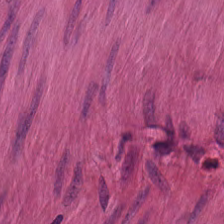H&E — {"tissue_type": "smooth-muscle tissue"}
